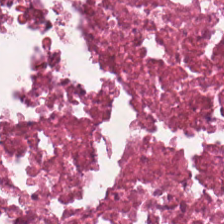Brightfield · H&E-stained tissue section — Finding → debris.
